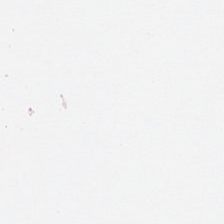Stain: H&E stain.
Acquisition: brightfield.
Tile size: 224×224 pixel tile.
Content: empty background.
